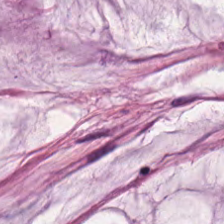H&E; brightfield; formalin-fixed paraffin-embedded section — The tissue type is extracellular mucin.
